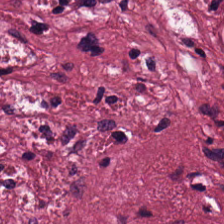H&E-stained tissue section — Tissue class: tumor stroma.
